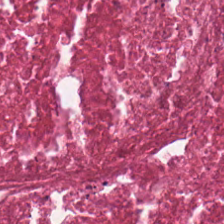H&E — This field is debris.
